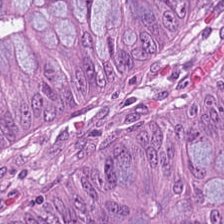Stain: hematoxylin-and-eosin stained section.
Tissue: colorectal adenocarcinoma.
